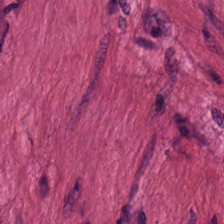Hematoxylin and eosin. Classification — smooth muscle.
